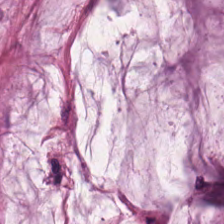H&E. 0.5 µm per pixel. This patch shows mucus.
